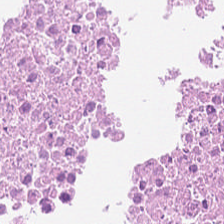Tissue type: cellular debris.
